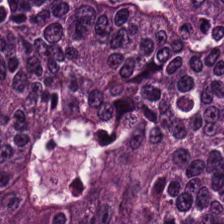H&E-stained tissue section · whole-slide-image patch · formalin-fixed paraffin-embedded section.
Tissue type — colorectal adenocarcinoma epithelium.
